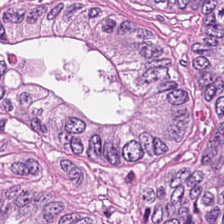Hematoxylin-and-eosin stained section · brightfield microscopy. Showing colorectal adenocarcinoma epithelium.
